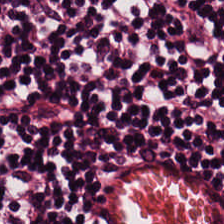H&E-stained tissue section.
Tissue — lymphocyte aggregate.
